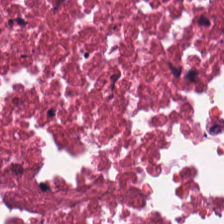Hematoxylin-and-eosin stained section. The predominant tissue is cellular debris.
